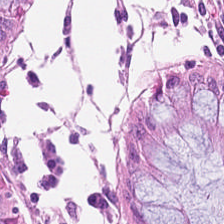20× equivalent magnification; 224×224 px tile; hematoxylin and eosin — Showing normal colon mucosa.
